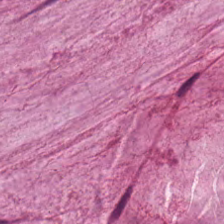The tissue here is mucus.
